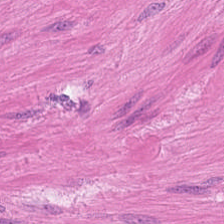H&E — The tissue class is smooth muscle.
